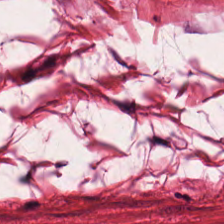H&E — smooth-muscle tissue.
